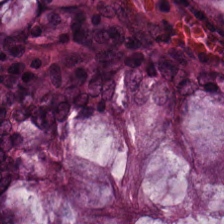Q: What is shown in this field?
A: The field shows normal colonic mucosa.
